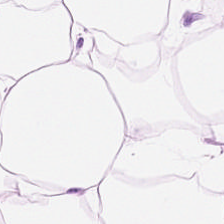Hematoxylin-and-eosin stained section.
Impression → adipocytes.
